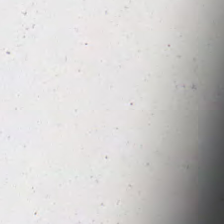H&E stain. No tissue present; background only.
